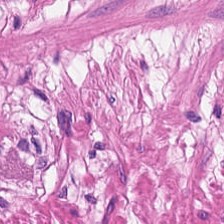H&E-stained tissue section.
This patch shows smooth-muscle tissue.
